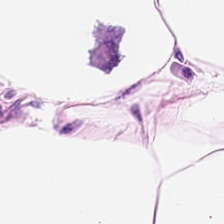Showing adipose tissue.
